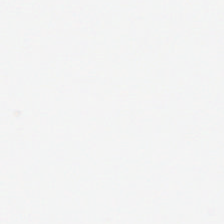Stain: hematoxylin and eosin.
Content: no tissue.
